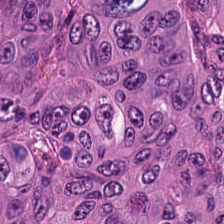Histology → colorectal adenocarcinoma.
